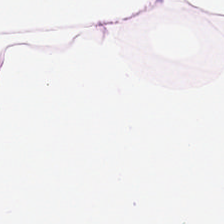Q: Classify this patch.
A: This is adipocytes.
